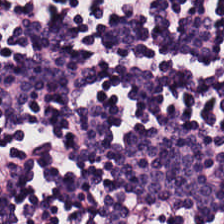Hematoxylin-and-eosin stained section — {"tissue_type": "lymphocyte aggregate"}
